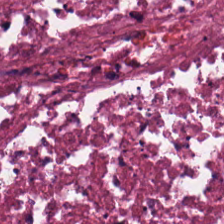Hematoxylin-and-eosin section: necrotic debris.
